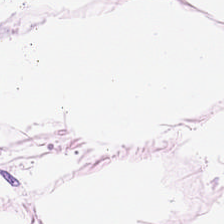Hematoxylin-and-eosin stained section · brightfield. Finding → fat tissue.
